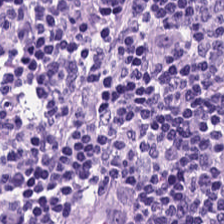H&E — Q: What is shown here?
A: The field shows lymphocytic infiltrate.
